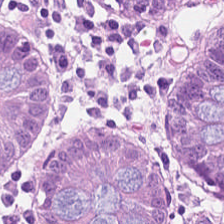Hematoxylin and eosin · 0.5 µm per pixel — Benign colonic mucosa.
